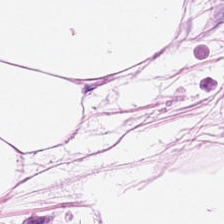Tissue class = adipocytes.
